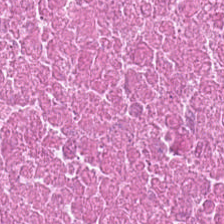H&E — Tissue class = cellular debris.
